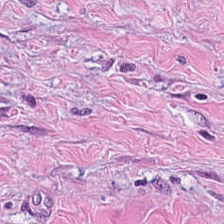H&E stain — Classification = tumor-associated stroma.
